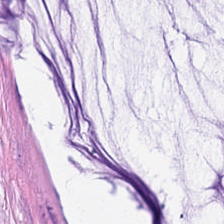Q: What is shown here?
A: This is extracellular mucin.
